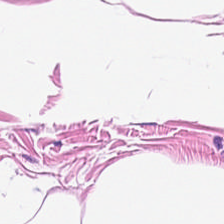Predominantly adipocytes.
